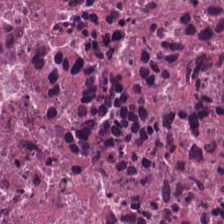{"tissue_type": "cellular debris"}
